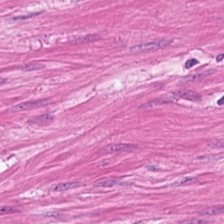Impression → smooth-muscle tissue.
